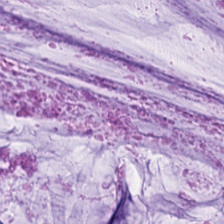H&E stain.
The predominant tissue is mucus.
